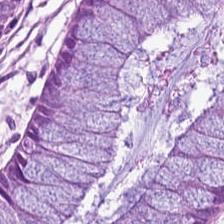H&E stain.
Tissue: benign colonic mucosa.
